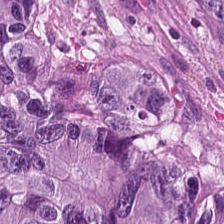Predominant tissue: colorectal adenocarcinoma.
